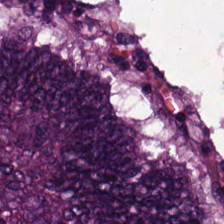{"tissue_type": "adenocarcinoma"}
